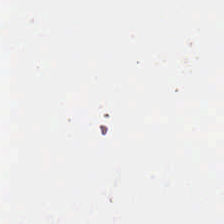H&E stain.
This patch shows background (no tissue).
